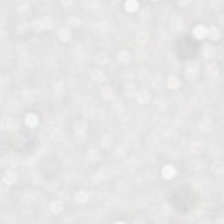H&E-stained tissue section.
Histology → empty background.
